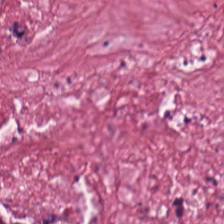The tissue class is tumor stroma.
